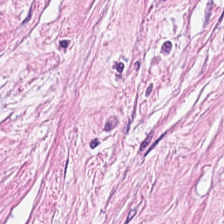Hematoxylin-and-eosin stained section — {"tissue_type": "tumor-associated stroma"}
